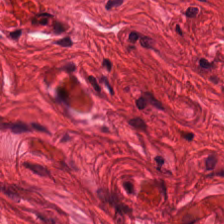Hematoxylin and eosin · 20× equivalent magnification — The tissue class is smooth-muscle tissue.
